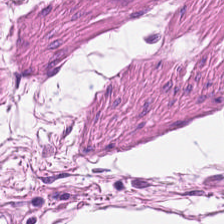224×224 pixel tile. H&E-stained tissue section.
Q: What is shown in this field?
A: Smooth-muscle tissue.
